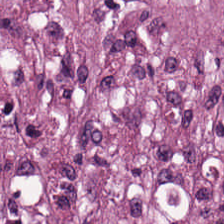H&E-stained tissue section. Classification = tumor stroma.
